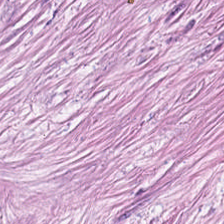H&E — tumor stroma.
